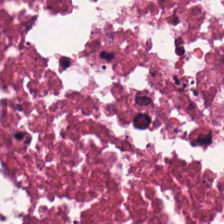Impression — cellular debris.
